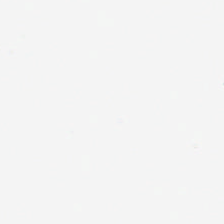Hematoxylin-and-eosin stained section. Classification — background.
